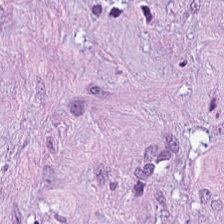20× equivalent magnification. H&E-stained tissue section — Predominantly tumor-associated stroma.
